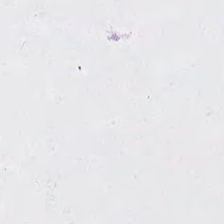Hematoxylin and eosin. This field is background (no tissue).
